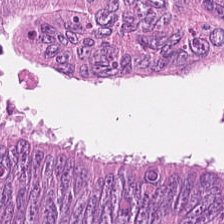Classification — malignant epithelium.
